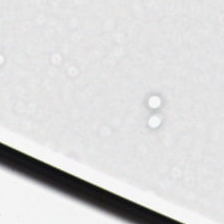Finding — empty background.
